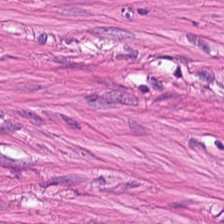H&E-stained tissue section — Q: What does this patch show?
A: This is muscularis.
